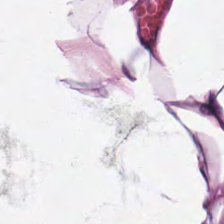0.5 µm/px. H&E-stained tissue section. FFPE.
This field is fat tissue.
